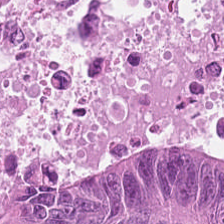H&E stain. Predominant tissue = tumor epithelium.
